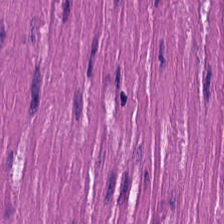H&E-stained tissue section — Impression — smooth muscle.
